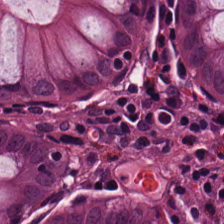224×224 px patch · whole-slide-image patch · hematoxylin-and-eosin stained section — Tissue — benign colonic mucosa.
